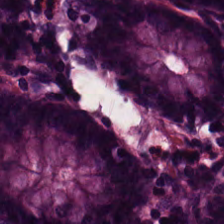H&E-stained tissue section · 224×224 pixel tile · whole-slide-image patch. Q: What does this patch show?
A: The field shows non-neoplastic colon mucosa.
